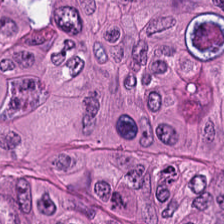H&E-stained tissue section — The predominant tissue is malignant epithelium.
